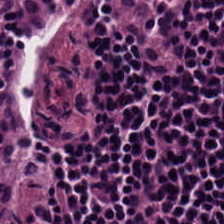H&E; whole-slide-image patch. {"tissue_type": "lymphocytic infiltrate"}
